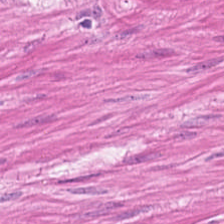Tissue type: smooth muscle.
